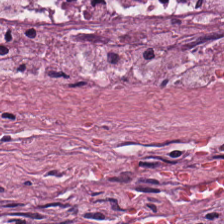Formalin-fixed paraffin-embedded section; H&E-stained tissue section.
Classification = desmoplastic stroma.
